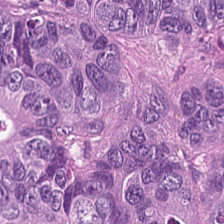FFPE tissue section; H&E-stained tissue section.
The classification is colorectal adenocarcinoma epithelium.
